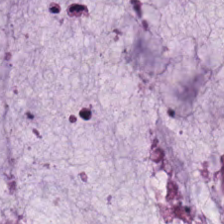WSI patch · hematoxylin-and-eosin stained section · FFPE tissue section.
Tissue class: mucin.
